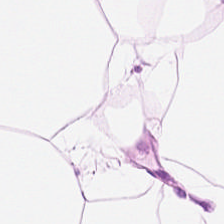Stain: H&E-stained tissue section.
Tissue: adipocytes.
